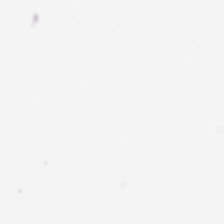Hematoxylin and eosin — This field is background (no tissue).
